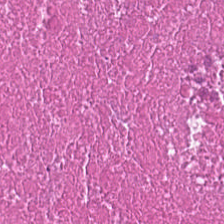Tissue = necrotic debris.
